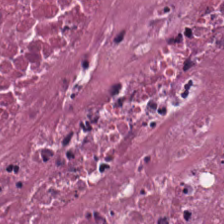H&E-stained tissue section.
Tissue class: necrotic debris.
